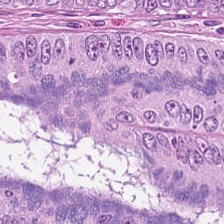224×224 px tile; 0.5 µm per pixel; hematoxylin-and-eosin stained section. Q: What is shown in this field?
A: The field shows adenocarcinoma.
